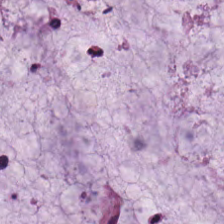224×224 pixel tile. H&E stain. Showing extracellular mucin.
